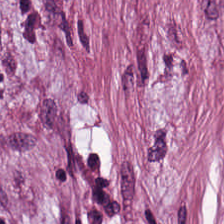H&E stain — Tissue: tumor-associated stroma.
